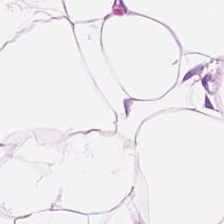H&E-stained tissue section · 224×224 px patch — Tissue type — fat tissue.
